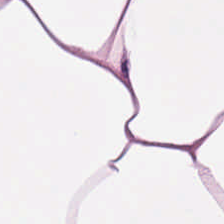Hematoxylin-and-eosin stained section.
Adipocytes.
